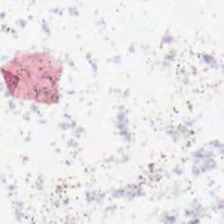H&E stain · FFPE tissue section.
Background — no tissue in this field.
